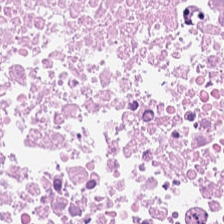The tissue type is debris.
